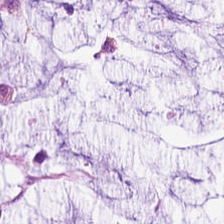Hematoxylin and eosin. Q: What type of tissue is this?
A: This is mucus.
